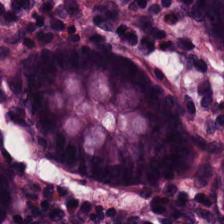Stain: H&E stain.
Predominant tissue: non-neoplastic colon mucosa.
